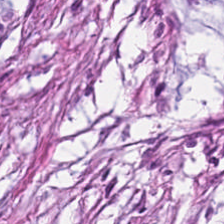Tissue — cancer-associated stroma.
